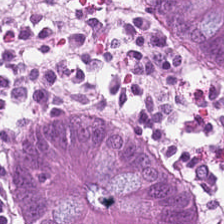Tissue class = benign colonic mucosa.
